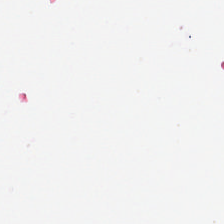H&E — Content = background.
